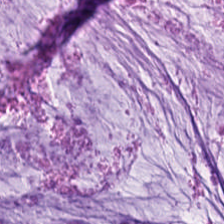H&E · FFPE tissue section.
Histology → mucus.
